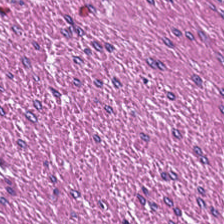Hematoxylin-and-eosin stained section; 224×224 pixel tile. This patch shows muscularis.
